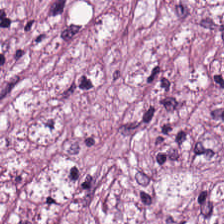H&E.
{"tissue_type": "desmoplastic stroma"}
